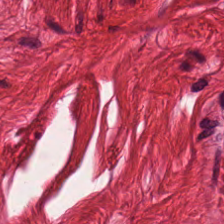0.5 µm/px; hematoxylin and eosin; 224×224 pixel tile.
Smooth muscle.
